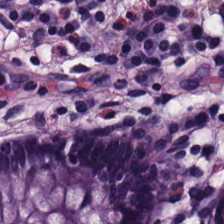Impression → normal colonic mucosa.
